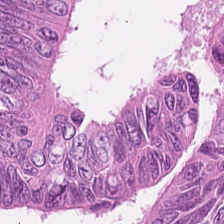H&E-stained tissue section — Showing colorectal adenocarcinoma.
